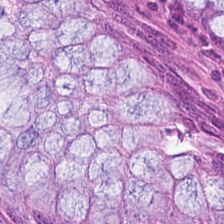H&E-stained tissue section; 0.5 µm per pixel — Normal colonic mucosa.
